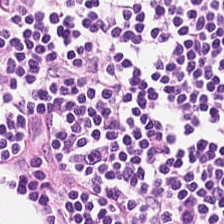0.5 microns per pixel · hematoxylin-and-eosin stained section. {"tissue_type": "lymphoid infiltrate"}
